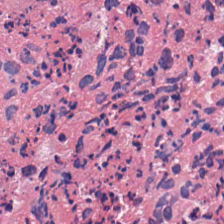224×224 pixel tile · hematoxylin-and-eosin stained section · 0.5 µm/px.
Cellular debris.
